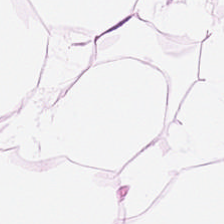The predominant tissue is adipocytes.
